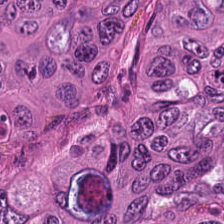Stain: hematoxylin and eosin.
Preparation: FFPE tissue section.
Resolution: 0.5 microns per pixel.
Tissue type: tumor epithelium.
